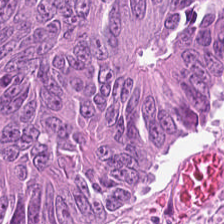Stain: hematoxylin and eosin.
Predominant tissue: tumor epithelium.
